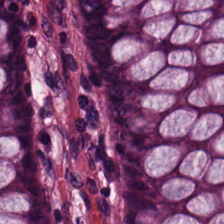H&E-stained tissue section. The tissue is benign colonic mucosa.
